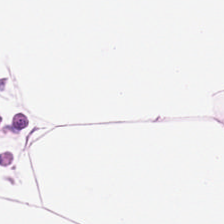224×224 px patch; whole-slide-image patch; hematoxylin-and-eosin stained section. Q: What tissue is shown?
A: Fat tissue.
